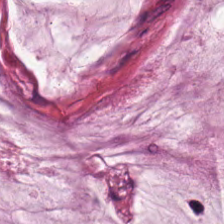H&E stain — Q: What tissue is shown?
A: It is mucin.
